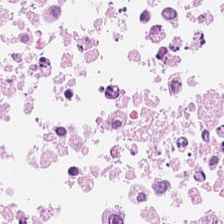Q: Classify this patch.
A: Necrotic debris.
